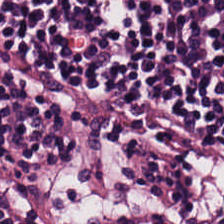H&E-stained tissue section · 20× equivalent magnification. The predominant tissue is lymphocytes.
